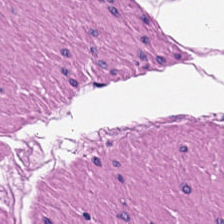H&E stain — Showing smooth muscle.
